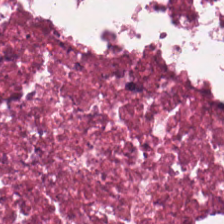Q: What does this patch show?
A: The field shows necrotic debris.
